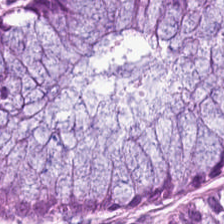Stain: H&E.
Tile size: 224×224 px tile.
Predominant tissue: benign colonic mucosa.
